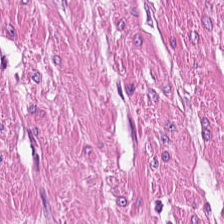H&E · 20× equivalent magnification · FFPE tissue section — Q: Classify this patch.
A: It is smooth-muscle tissue.
